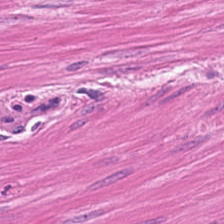Q: What is shown here?
A: Muscularis.
